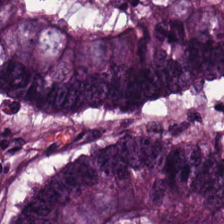224×224 pixel tile. FFPE tissue section. Hematoxylin-and-eosin stained section. The predominant tissue is malignant epithelium.
